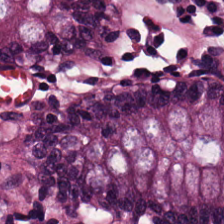Hematoxylin and eosin — This field is normal colonic mucosa.
